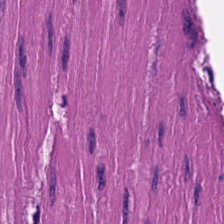H&E — Q: What does this patch show?
A: This is smooth muscle.
